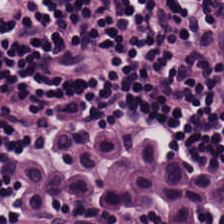H&E stain.
The tissue here is lymphocyte aggregate.
